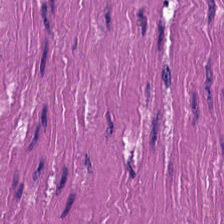Whole-slide-image patch; hematoxylin-and-eosin stained section; 224×224 px tile. Predominantly smooth muscle.
